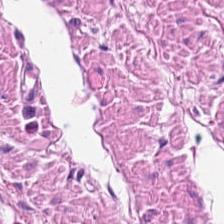H&E. Q: What tissue type is shown here?
A: This is smooth muscle.
